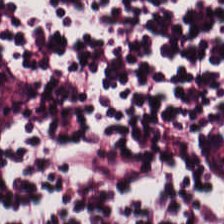H&E — lymphocytes.
